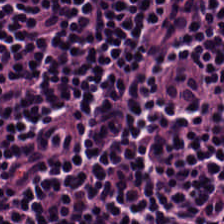H&E stain — This field is lymphocytic infiltrate.
